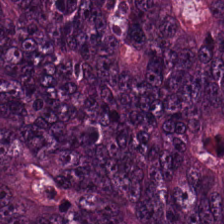224×224 px tile. Hematoxylin-and-eosin stained section — {"tissue_type": "colorectal adenocarcinoma"}
